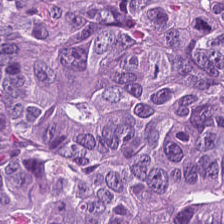Stain: H&E-stained tissue section.
Tissue type: tumor epithelium.
